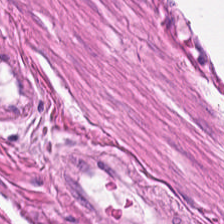Finding — muscularis.
